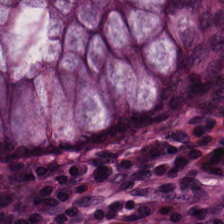20× equivalent magnification; H&E.
Q: What type of tissue is this?
A: The field shows normal colonic mucosa.
